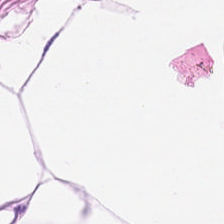Hematoxylin and eosin. Classification — adipose tissue.
